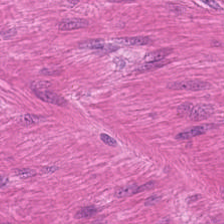H&E-stained tissue section. The tissue class is smooth-muscle tissue.
